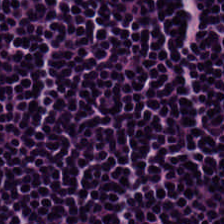H&E; FFPE — Predominantly lymphocytic infiltrate.
